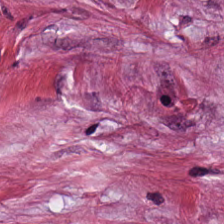H&E-stained tissue section showing tumor stroma.
